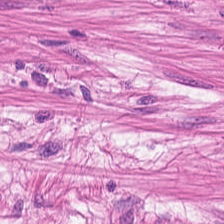H&E-stained tissue section; whole-slide-image patch; 224×224 px patch. Classification = muscularis.
